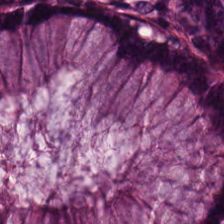Stain: H&E-stained tissue section.
Acquisition: WSI patch.
Tissue: non-neoplastic colon mucosa.
